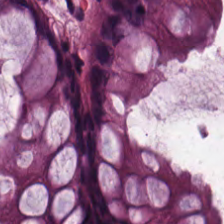H&E stain. Formalin-fixed paraffin-embedded section. The tissue type is non-neoplastic colon mucosa.
